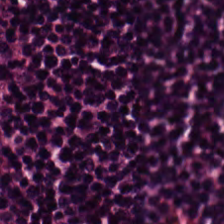H&E-stained tissue section. Histology → lymphocyte aggregate.
